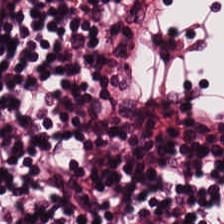Hematoxylin-and-eosin stained section · FFPE — The classification is lymphocytic infiltrate.
